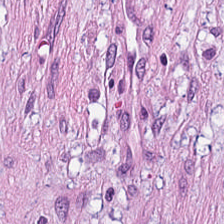Hematoxylin-and-eosin stained section; formalin-fixed paraffin-embedded section — The predominant tissue is desmoplastic stroma.
